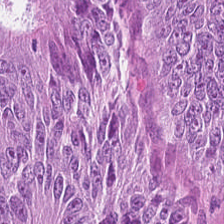H&E. Tissue class — colorectal adenocarcinoma epithelium.
